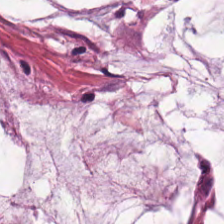Hematoxylin-and-eosin stained section.
Predominantly extracellular mucin.
